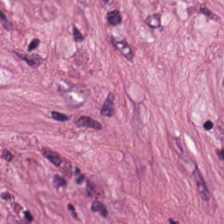Stain: H&E-stained tissue section.
Tissue type: desmoplastic stroma.
